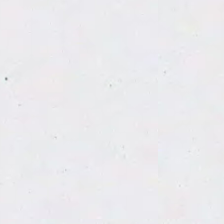H&E-stained tissue section. Content — empty background.
